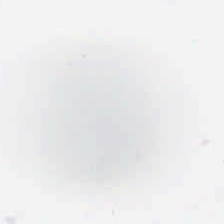H&E stain; 0.5 microns per pixel. Field content — empty background.
